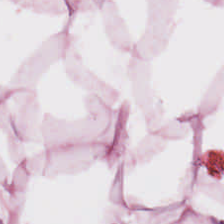Hematoxylin-and-eosin stained section.
Tissue — fat tissue.
